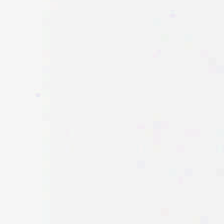Hematoxylin-and-eosin stained section. Q: What is shown in this field?
A: It is empty background.
